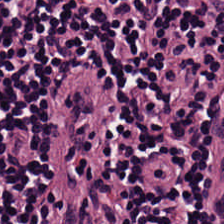H&E patch showing lymphocytes.
